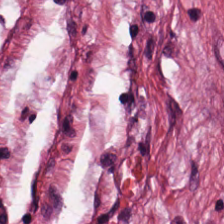H&E — tumor-associated stroma.
